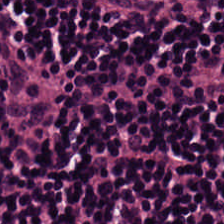H&E-stained tissue section — Q: Classify this patch.
A: It is lymphoid infiltrate.
